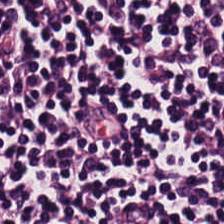H&E-stained section; the field shows lymphoid infiltrate.
